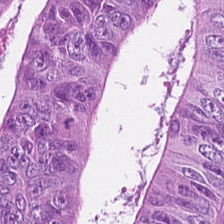H&E.
The predominant tissue is colorectal adenocarcinoma epithelium.
